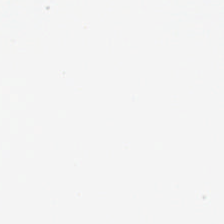FFPE; H&E. Classification: empty background.
